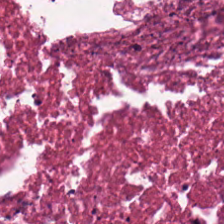Stain: H&E.
Acquisition: whole-slide-image patch.
Preparation: FFPE tissue section.
Tissue type: debris.
